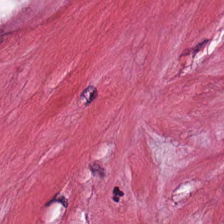Hematoxylin-and-eosin stained section — The predominant tissue is tumor-associated stroma.
